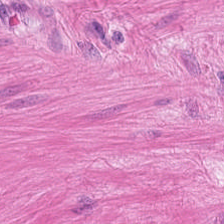Hematoxylin and eosin.
Tissue: muscularis.
